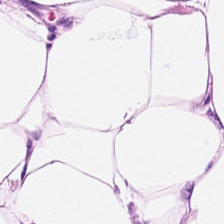H&E-stained tissue section — This field is fat tissue.
